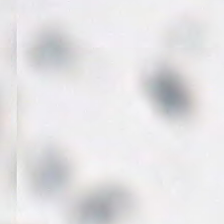Stain: H&E-stained tissue section.
Content: no tissue.
